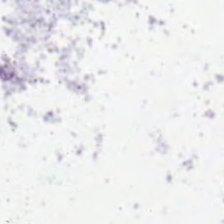Stain: H&E stain.
Field content: background.
